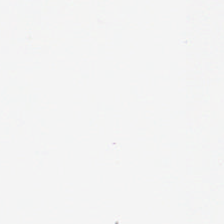H&E. Classification = background (no tissue).
